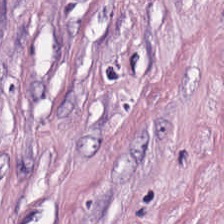H&E stain.
The tissue class is tumor-associated stroma.
